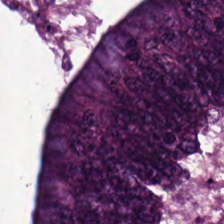Stain: hematoxylin and eosin.
Tissue class: adenocarcinoma.
